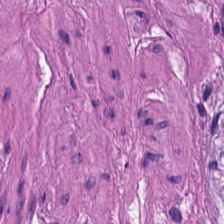0.5 microns per pixel · hematoxylin-and-eosin stained section. Tissue: smooth-muscle tissue.
